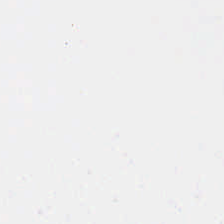No tissue present; background only.
